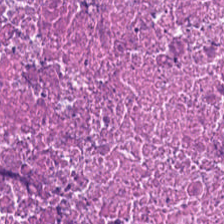Hematoxylin and eosin. Q: Identify the tissue.
A: This is cellular debris.
